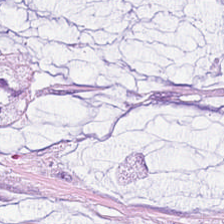Stain: hematoxylin and eosin.
Tissue: extracellular mucin.
